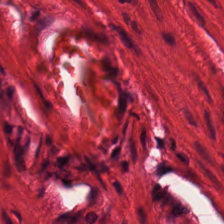This patch shows smooth-muscle tissue.
